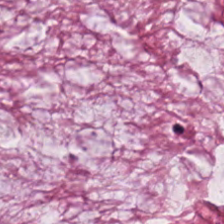The tissue class is mucin.
